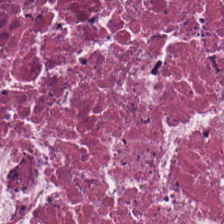Brightfield microscopy. 20× equivalent magnification. Hematoxylin-and-eosin stained section.
This patch shows necrotic debris.
